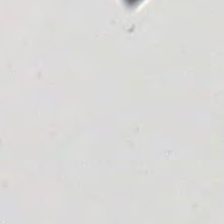H&E-stained tissue section.
Q: Classify this patch.
A: Background.
